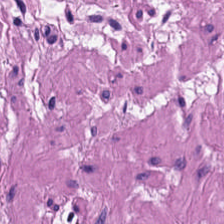This field is smooth muscle.
